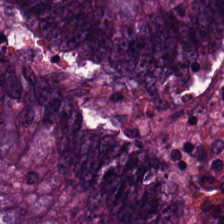Hematoxylin-and-eosin stained section.
The tissue here is adenocarcinoma.
